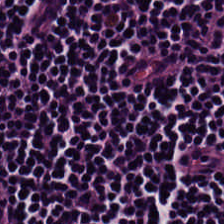Q: What tissue type is shown here?
A: Lymphocyte aggregate.
